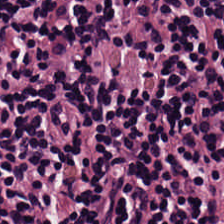Hematoxylin-and-eosin stained section — Tissue type = lymphocyte aggregate.
